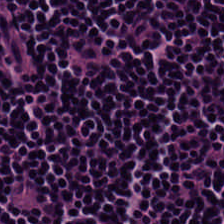H&E stain · 0.5 µm/px — Predominant tissue: lymphocytes.
